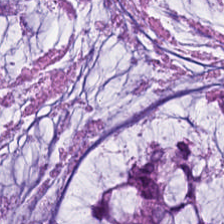H&E.
Impression → extracellular mucin.
